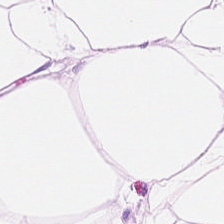0.5 µm per pixel; H&E.
Predominantly adipose.
